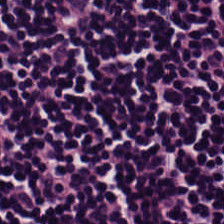H&E-stained tissue section; FFPE tissue section; 20× equivalent magnification — Q: What tissue type is shown here?
A: This is lymphocytic infiltrate.
